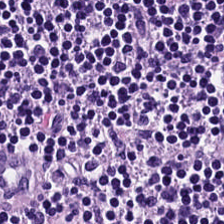WSI patch · H&E stain.
Histology → lymphocytic infiltrate.
